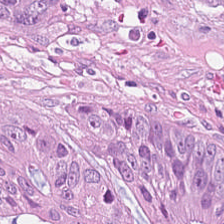H&E stain. Histology → tumor epithelium.
